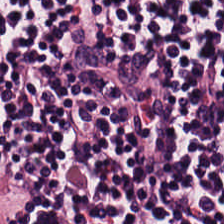H&E stain · formalin-fixed paraffin-embedded section. The predominant tissue is lymphoid infiltrate.
